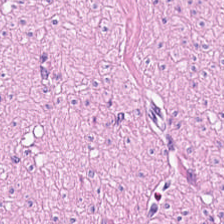H&E — The tissue here is muscularis.
